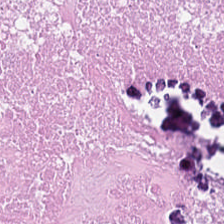The tissue class is necrotic debris.
